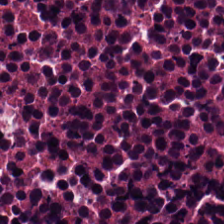0.5 microns per pixel; H&E.
Predominantly debris.
